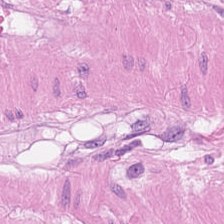Hematoxylin-and-eosin stained section.
Predominant tissue = muscularis.
